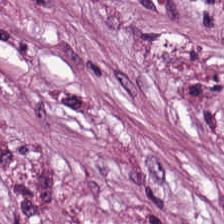Stain: H&E.
Acquisition: brightfield.
Tissue type: cancer-associated stroma.
